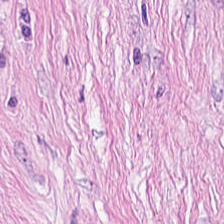H&E — Tissue — tumor-associated stroma.
